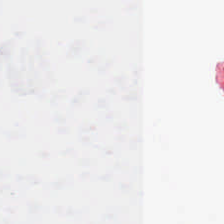224×224 px patch · H&E stain.
No tissue present; background only.
